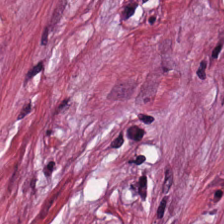Hematoxylin and eosin. Tumor-associated stroma.
